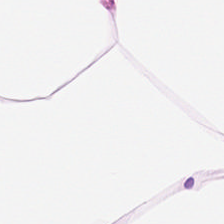H&E. Whole-slide-image patch.
Tissue — adipose.
